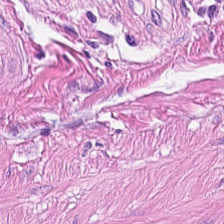Hematoxylin-and-eosin stained section. FFPE tissue section. WSI patch.
Q: What tissue type is shown here?
A: Smooth muscle.
